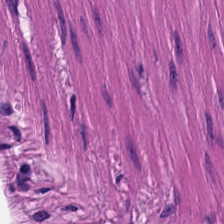H&E stain · 0.5 µm per pixel — Predominantly muscularis.
